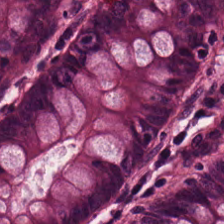Brightfield. 20× equivalent magnification. Hematoxylin-and-eosin stained section.
Q: Identify the tissue.
A: The field shows benign colonic mucosa.
